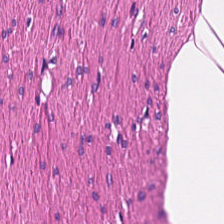H&E. FFPE tissue section.
Predominant tissue: smooth-muscle tissue.
